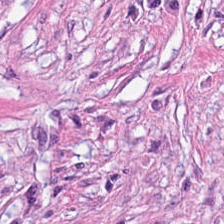Q: Identify the tissue.
A: Desmoplastic stroma.
